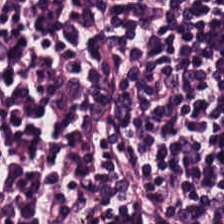Hematoxylin-and-eosin section: lymphocytes.
